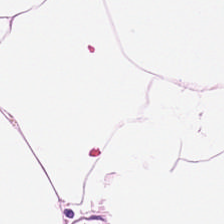Hematoxylin and eosin — The predominant tissue is adipose.
